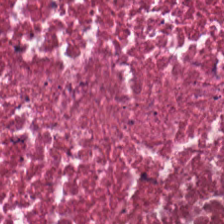Hematoxylin-and-eosin stained section · whole-slide-image patch · formalin-fixed paraffin-embedded section — Debris.
